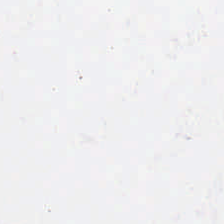H&E-stained tissue section. Field content = background.
